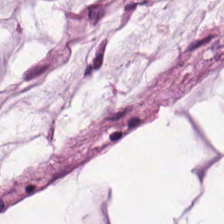H&E stain — Histology → mucin.
